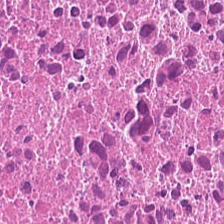224×224 px tile; H&E stain — Q: Classify this patch.
A: This is debris.
